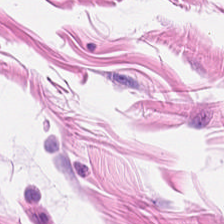This patch shows muscularis.
